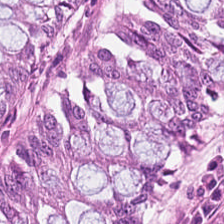H&E-stained tissue section. 20× equivalent magnification. Predominantly non-neoplastic colon mucosa.
